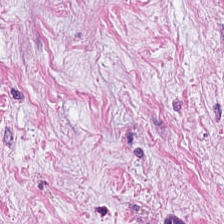224×224 px patch. FFPE. H&E stain — Finding → tumor stroma.
